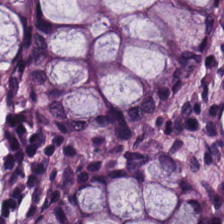Impression — normal colonic mucosa.
